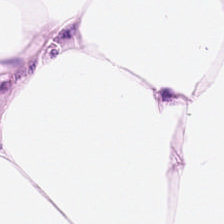H&E. This patch shows adipose tissue.
